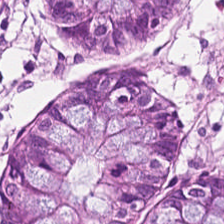Hematoxylin and eosin. {"tissue_type": "normal colon mucosa"}
